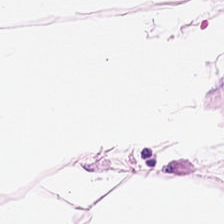H&E — Tissue class = adipocytes.
